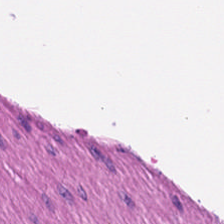This patch shows smooth-muscle tissue.
